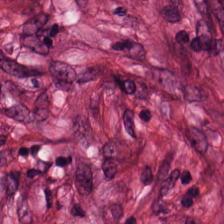Hematoxylin-and-eosin section: tumor stroma.
